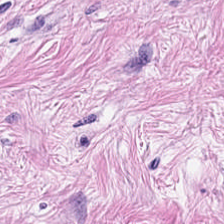Stain: H&E.
Resolution: 0.5 µm/px.
Acquisition: whole-slide-image patch.
Tissue class: tumor stroma.
